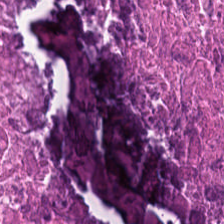224×224 px patch; H&E — Tissue type: necrotic debris.
